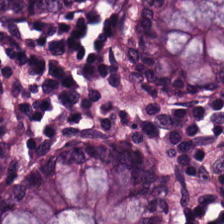H&E stain; 20× equivalent magnification; FFPE.
Q: What does this patch show?
A: The field shows normal colon mucosa.
